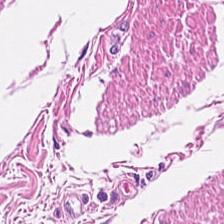Hematoxylin-and-eosin stained section — Predominantly smooth-muscle tissue.
